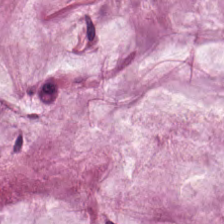H&E; 224×224 pixel tile; brightfield.
Q: What tissue is shown?
A: It is mucus.
